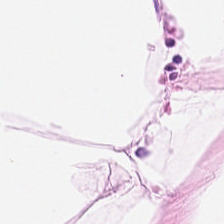H&E stain; 224×224 pixel tile; FFPE tissue section — Fat tissue.
